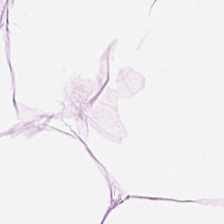224×224 px tile · H&E · whole-slide-image patch.
Showing adipose tissue.
